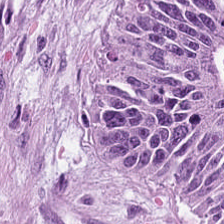Hematoxylin-and-eosin stained section — Q: What type of tissue is this?
A: It is adenocarcinoma.
